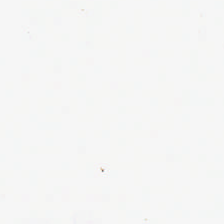{"content": "no tissue"}
